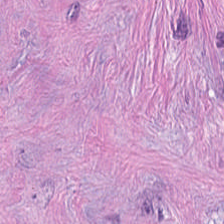Hematoxylin and eosin. The tissue here is cancer-associated stroma.
